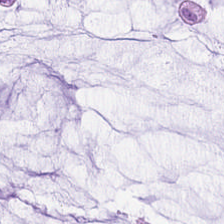Q: What type of tissue is this?
A: It is mucin.
